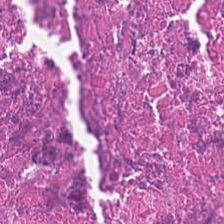Whole-slide-image patch · hematoxylin-and-eosin stained section — Tissue = cellular debris.
